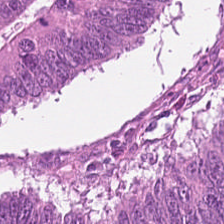Predominantly colorectal adenocarcinoma epithelium.
